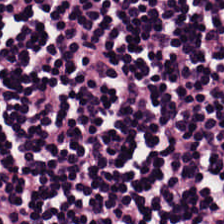Stain: H&E-stained tissue section.
Tissue: lymphoid infiltrate.
